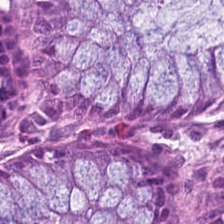Hematoxylin and eosin.
Impression → normal colon mucosa.
